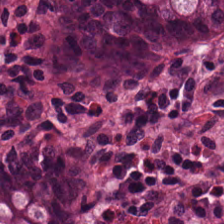Formalin-fixed paraffin-embedded section. Hematoxylin and eosin. {"tissue_type": "non-neoplastic colon mucosa"}
